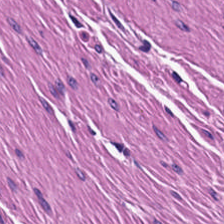H&E stain. Q: What is shown in this field?
A: The field shows muscularis.
